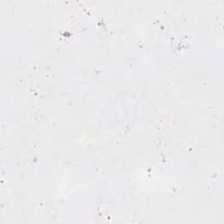H&E stain · formalin-fixed paraffin-embedded section — This field is background (no tissue).
